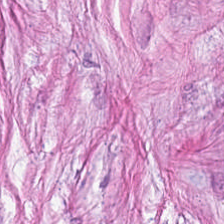H&E-stained tissue section showing cancer-associated stroma.
